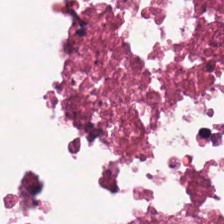H&E patch showing cellular debris.
